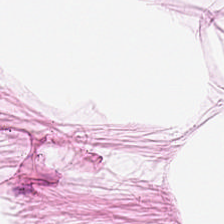Hematoxylin and eosin — This patch shows adipose.
